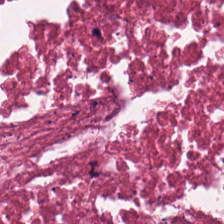Stain: hematoxylin-and-eosin stained section.
Tissue type: cellular debris.
